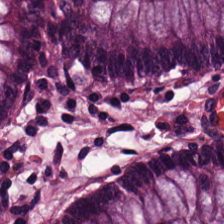20× equivalent magnification · hematoxylin and eosin. Tissue type — normal colon mucosa.
